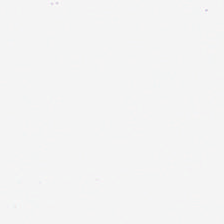Hematoxylin and eosin.
Impression → no tissue.
